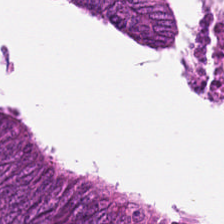WSI patch; hematoxylin and eosin; 224×224 pixel tile — This field is colorectal adenocarcinoma epithelium.
